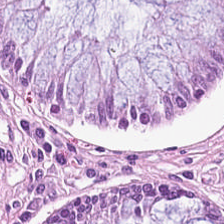Hematoxylin and eosin. Classification — normal colonic mucosa.
